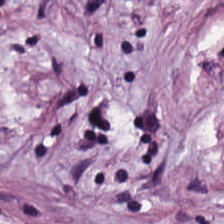H&E. {"tissue_type": "tumor-associated stroma"}
